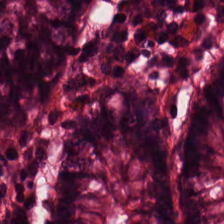Stain: hematoxylin and eosin.
Predominant tissue: normal colonic mucosa.
